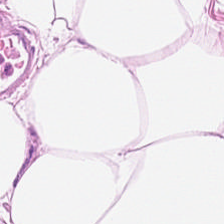FFPE tissue section. Brightfield microscopy. Hematoxylin and eosin.
Finding — adipocytes.
